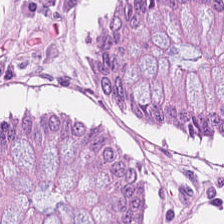Hematoxylin-and-eosin stained section — Tissue class: normal colonic mucosa.
